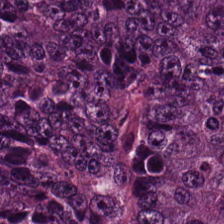Showing tumor epithelium.
